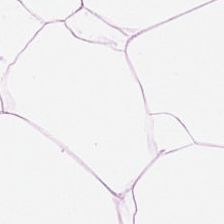H&E stain · FFPE — Finding — adipose tissue.
